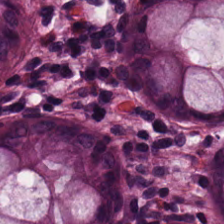Hematoxylin and eosin. Non-neoplastic colon mucosa.
